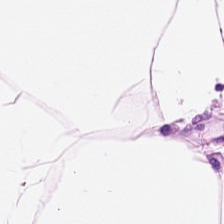This patch shows fat tissue.
